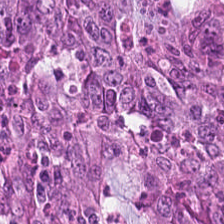0.5 µm/px · 224×224 px tile · hematoxylin-and-eosin stained section. Tissue type — malignant epithelium.
